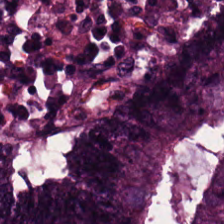Hematoxylin and eosin; FFPE tissue section. Tissue class = tumor epithelium.
